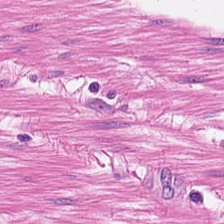H&E; whole-slide-image patch.
{"tissue_type": "smooth-muscle tissue"}
